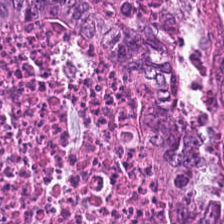This patch shows adenocarcinoma.
